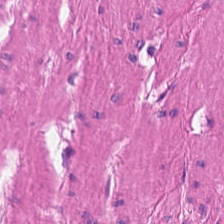Q: Classify this patch.
A: It is muscularis.
